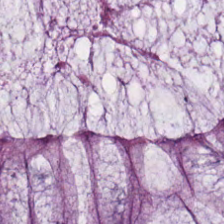Hematoxylin-and-eosin stained section.
Classification — normal colon mucosa.
